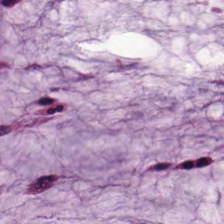Brightfield microscopy · H&E-stained tissue section.
Q: What is shown in this field?
A: It is mucin.
